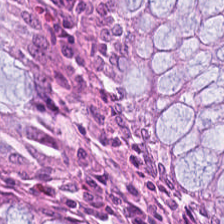The tissue type is non-neoplastic colon mucosa.
